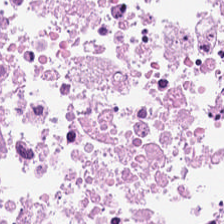Cellular debris.
